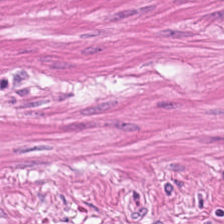Hematoxylin and eosin. This field is smooth-muscle tissue.
